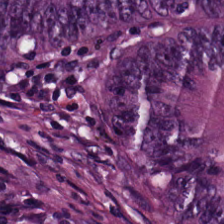H&E-stained tissue section. Predominant tissue — colorectal adenocarcinoma.
